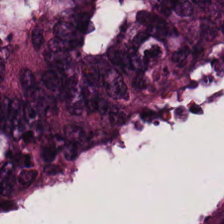H&E. The tissue type is colorectal adenocarcinoma.
